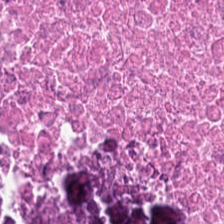Stain: H&E stain.
Tissue: debris.
